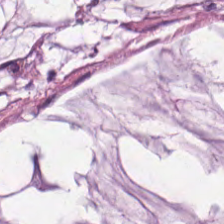Formalin-fixed paraffin-embedded section · H&E stain.
Q: What type of tissue is this?
A: Extracellular mucin.
